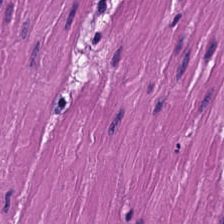H&E — Q: What tissue is shown?
A: The field shows muscularis.
